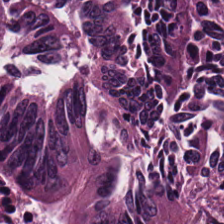224×224 px patch. FFPE tissue section. Hematoxylin and eosin — Histology → tumor epithelium.
